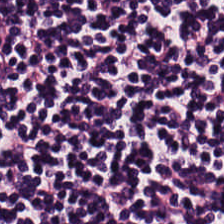H&E stain. Finding → lymphocyte aggregate.
